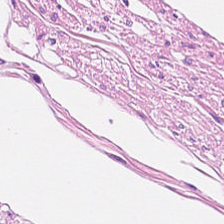Q: What tissue type is shown here?
A: It is muscularis.
